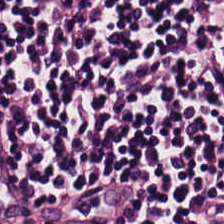FFPE tissue section · hematoxylin-and-eosin stained section. Classification — lymphoid infiltrate.
